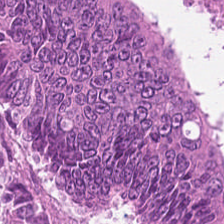H&E stain; FFPE; whole-slide-image patch.
Q: What does this patch show?
A: The field shows colorectal adenocarcinoma epithelium.
